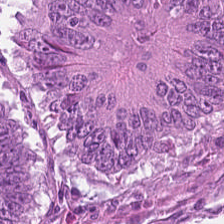Showing colorectal adenocarcinoma.
